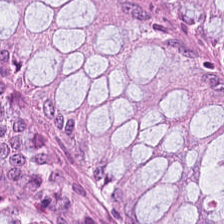0.5 µm/px. Hematoxylin and eosin. FFPE tissue section. Tissue class = normal colon mucosa.
